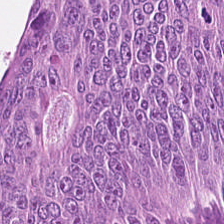H&E stain · 224×224 px tile. Histology → colorectal adenocarcinoma epithelium.
